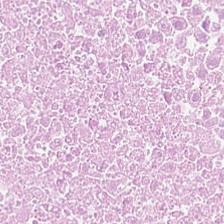Stain: hematoxylin and eosin.
Predominant tissue: debris.
